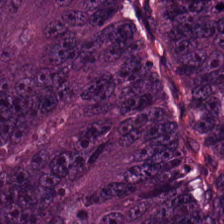Brightfield; H&E. Classification = malignant epithelium.
